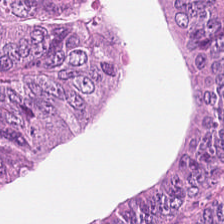20× equivalent magnification. Hematoxylin-and-eosin stained section. WSI patch.
The predominant tissue is adenocarcinoma.
